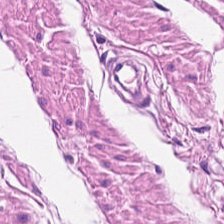H&E-stained tissue section. This patch shows smooth-muscle tissue.
